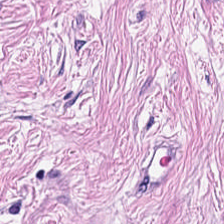H&E. Tissue = cancer-associated stroma.
